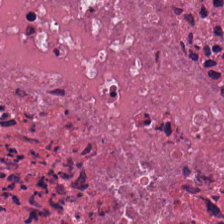Hematoxylin and eosin.
The tissue here is necrotic debris.
